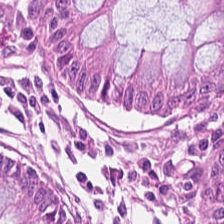Tissue = normal colon mucosa.
